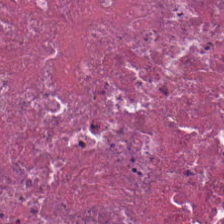0.5 µm per pixel · hematoxylin-and-eosin stained section. Tissue type = cellular debris.
